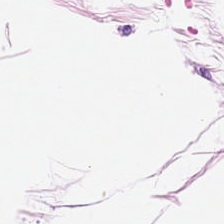FFPE tissue section. H&E.
Impression — adipocytes.
